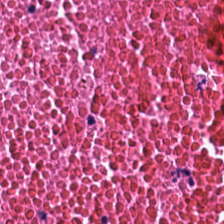H&E. Predominant tissue: debris.
